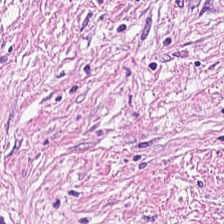H&E. 224×224 px tile.
Predominant tissue = desmoplastic stroma.
